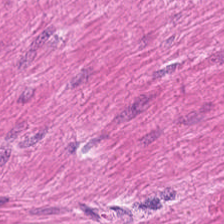This patch shows smooth-muscle tissue.
